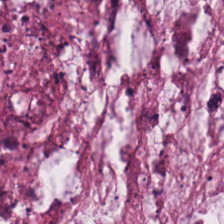H&E-stained tissue section · FFPE. Histology — extracellular mucin.
